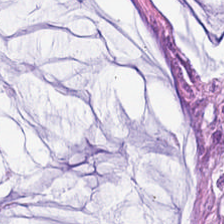H&E-stained tissue section · whole-slide-image patch · formalin-fixed paraffin-embedded section.
Q: What tissue is shown?
A: Extracellular mucin.
